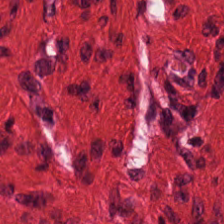H&E-stained tissue section; WSI patch — Predominant tissue — smooth-muscle tissue.
